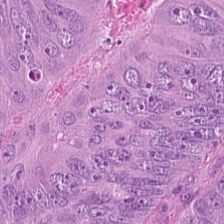Hematoxylin and eosin — Q: What is shown here?
A: This is adenocarcinoma.
